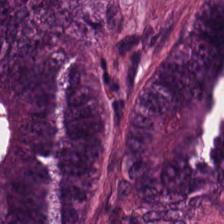Hematoxylin-and-eosin stained section · formalin-fixed paraffin-embedded section. The tissue here is malignant epithelium.
